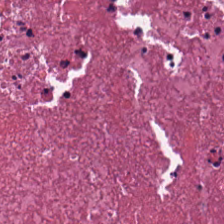H&E stain. 0.5 µm/px — Necrotic debris.
